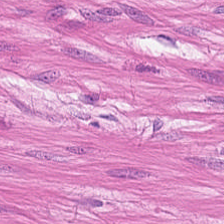Q: What tissue is shown?
A: This is muscularis.
